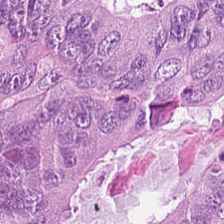The predominant tissue is tumor epithelium.
